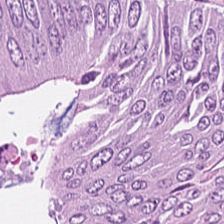Tissue = tumor epithelium.
